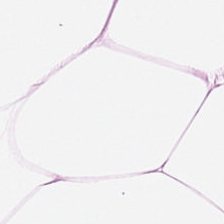Hematoxylin and eosin.
Fat tissue.
